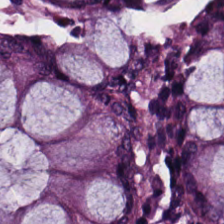H&E stain; FFPE — Classification — normal colon mucosa.
